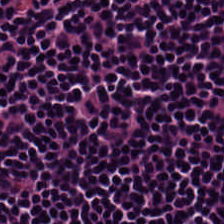20× equivalent magnification; H&E.
Showing lymphoid infiltrate.
